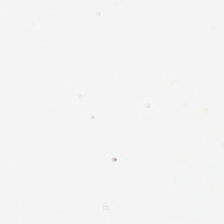224×224 pixel tile. Hematoxylin-and-eosin stained section — The classification is background (no tissue).
